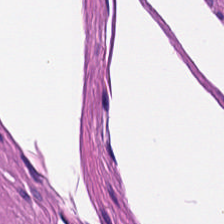H&E stain · 0.5 microns per pixel.
Predominantly smooth-muscle tissue.
